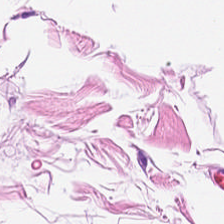20× equivalent magnification. H&E stain — Histology — fat tissue.
